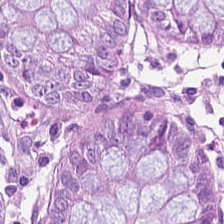FFPE tissue section; hematoxylin-and-eosin stained section — Tissue class: benign colonic mucosa.
